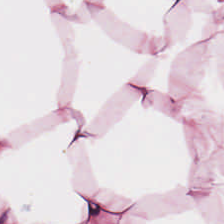H&E; 224×224 pixel tile; FFPE — Q: What does this patch show?
A: Adipocytes.
